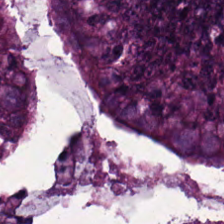H&E-stained tissue section — Q: What tissue is shown?
A: The field shows adenocarcinoma.
